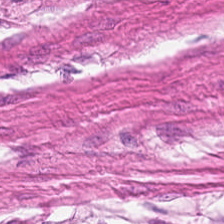H&E-stained tissue section.
The predominant tissue is muscularis.
